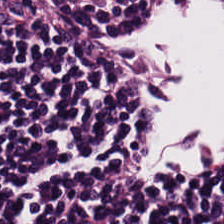H&E. FFPE. Lymphoid infiltrate.
